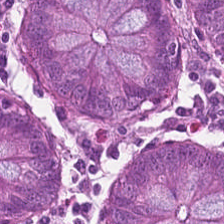Whole-slide-image patch; hematoxylin-and-eosin stained section — Classification: benign colonic mucosa.
